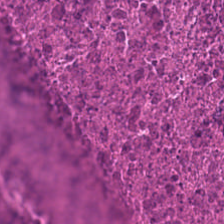H&E. This patch shows debris.
